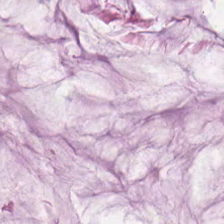Stain: H&E-stained tissue section.
Predominant tissue: mucus.
